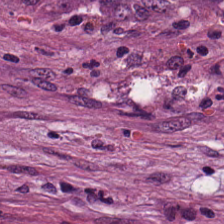Stain: hematoxylin and eosin.
Tile size: 224×224 px tile.
Classification: cancer-associated stroma.
